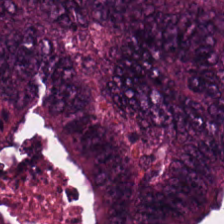H&E · 224×224 pixel tile · whole-slide-image patch — The predominant tissue is colorectal adenocarcinoma epithelium.
